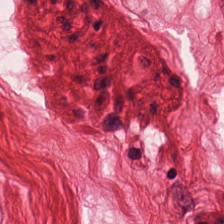Hematoxylin-and-eosin stained section.
Q: What is shown here?
A: Smooth muscle.
